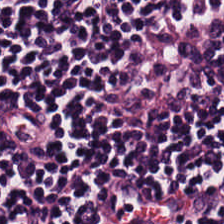Q: What is shown in this field?
A: This is lymphocyte aggregate.
